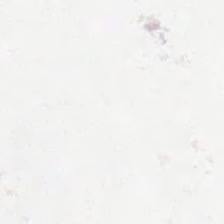Impression → background.
